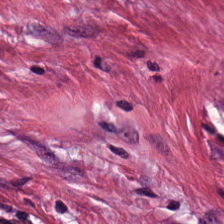WSI patch. 0.5 µm/px. Hematoxylin and eosin — Q: What is the predominant tissue type?
A: This is cancer-associated stroma.
